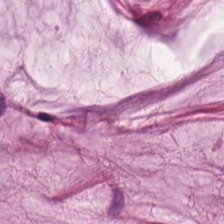This field is mucin.
